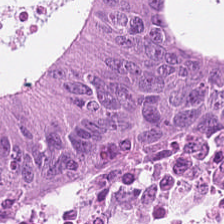Predominant tissue — adenocarcinoma.
